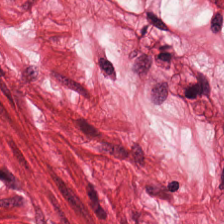Hematoxylin-and-eosin stained section; 0.5 µm/px. Q: What type of tissue is this?
A: It is smooth-muscle tissue.
